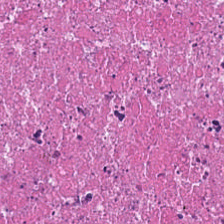224×224 px patch. Hematoxylin-and-eosin stained section.
Tissue: debris.
